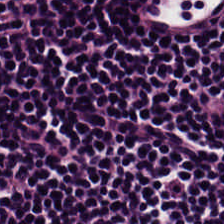Impression — lymphocyte aggregate.
